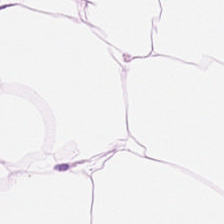Brightfield. H&E stain. 20× equivalent magnification. Showing adipose tissue.
